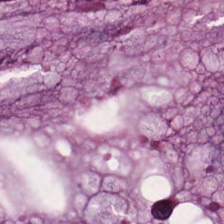Hematoxylin-and-eosin stained section. Tissue — mucus.
